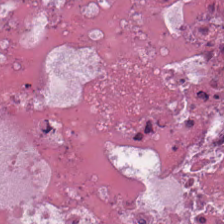Hematoxylin-and-eosin section: necrotic debris.
